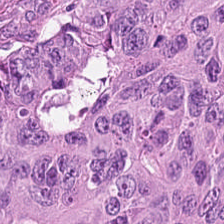H&E.
Q: Classify this patch.
A: The field shows tumor epithelium.
